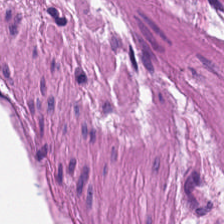H&E stain; 224×224 px patch; 20× equivalent magnification.
Q: What is shown here?
A: Smooth-muscle tissue.
